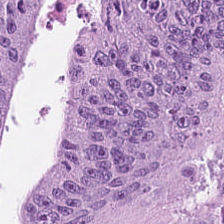H&E-stained tissue section.
This patch shows colorectal adenocarcinoma epithelium.
